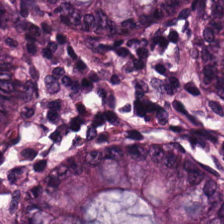H&E-stained tissue section · WSI patch · 224×224 pixel tile. Normal colonic mucosa.
